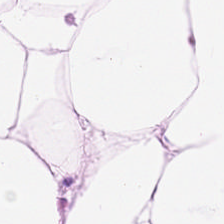Stain: hematoxylin-and-eosin stained section.
Resolution: 0.5 µm/px.
Classification: adipose tissue.
